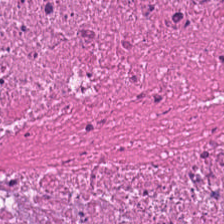Stain: H&E-stained tissue section.
Tile size: 224×224 px tile.
Tissue class: debris.
